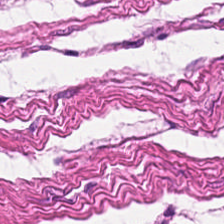H&E-stained tissue section. Whole-slide-image patch. 224×224 pixel tile.
Q: What is the predominant tissue type?
A: This is muscularis.
